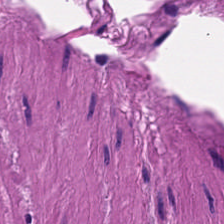H&E-stained tissue section · 0.5 µm per pixel — The predominant tissue is muscularis.
